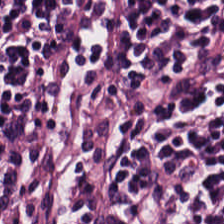Hematoxylin-and-eosin stained section — This field is lymphoid infiltrate.
